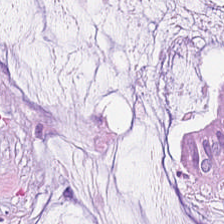H&E. Impression → mucin.
